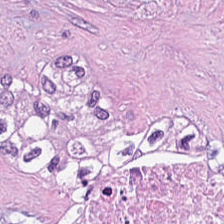Hematoxylin-and-eosin stained section — Predominant tissue = necrotic debris.
